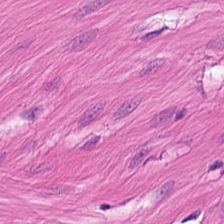H&E stain. Tissue type = smooth muscle.
